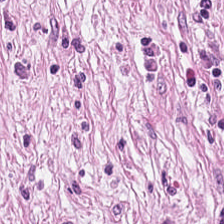H&E-stained tissue section. Q: Identify the tissue.
A: This is tumor stroma.
